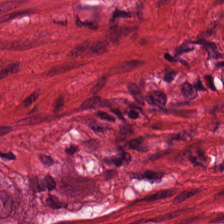H&E-stained tissue section; 224×224 px tile; 20× equivalent magnification.
Tissue: smooth-muscle tissue.
